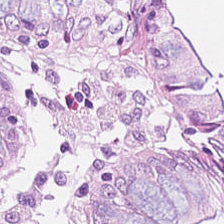H&E-stained tissue section — Tissue class — benign colonic mucosa.
